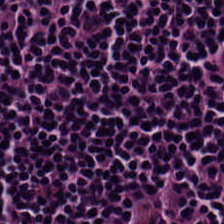Classification: lymphoid infiltrate.
